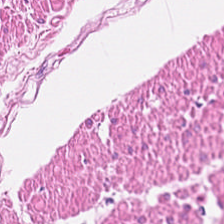Stain: H&E-stained tissue section.
Resolution: 0.5 microns per pixel.
Predominant tissue: muscularis.
